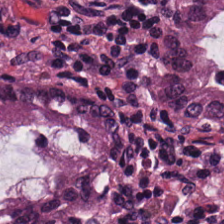H&E-stained tissue section showing normal colon mucosa.
